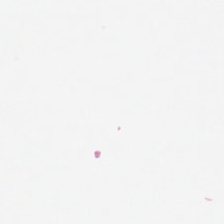Stain: hematoxylin-and-eosin stained section.
Classification: background (no tissue).
